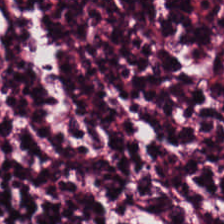H&E — The predominant tissue is lymphocytes.
